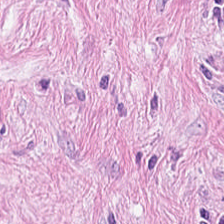20× equivalent magnification; 224×224 px patch; H&E stain.
Tumor stroma.
